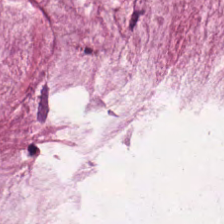H&E stain. Predominantly mucin.
